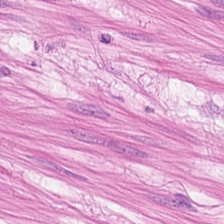H&E-stained tissue section — Predominantly smooth muscle.
